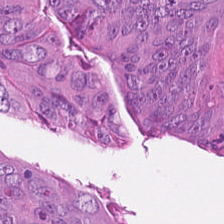Stain: hematoxylin and eosin.
Tissue class: colorectal adenocarcinoma.
